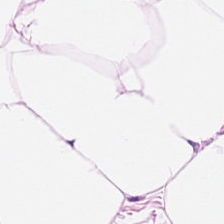Hematoxylin-and-eosin section: adipocytes.
